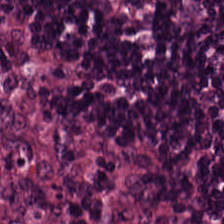H&E; brightfield microscopy — The tissue here is lymphocyte aggregate.
